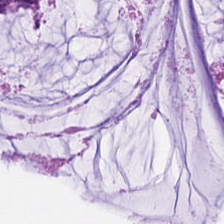Hematoxylin-and-eosin stained section. The tissue here is extracellular mucin.
